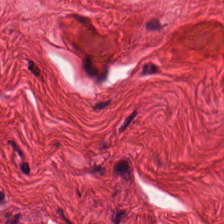H&E stain. Q: What is shown in this field?
A: It is muscularis.
